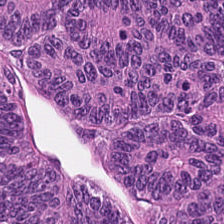Predominantly adenocarcinoma.
